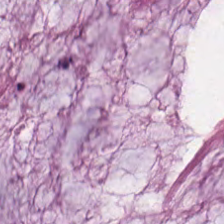Histology — extracellular mucin.
